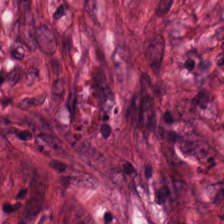Hematoxylin-and-eosin stained section — Q: What is the predominant tissue type?
A: This is cancer-associated stroma.
